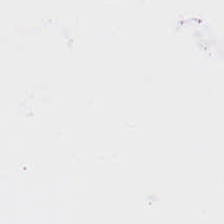This field is background (no tissue).
